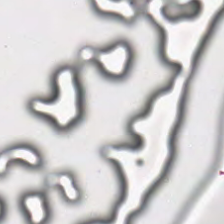Content = empty background.
